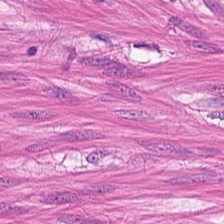H&E-stained tissue section. Histology → smooth muscle.
